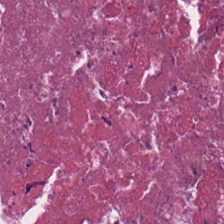H&E · 0.5 µm per pixel.
Q: What tissue is shown?
A: It is necrotic debris.
